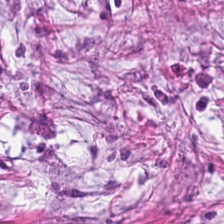H&E-stained tissue section. 0.5 µm per pixel.
Histology → desmoplastic stroma.
